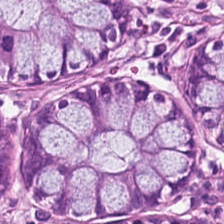H&E — Histology — non-neoplastic colon mucosa.
